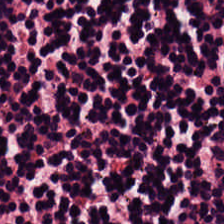{"tissue_type": "lymphocyte aggregate"}
